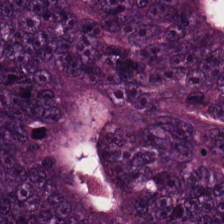H&E stain.
Q: Identify the tissue.
A: Colorectal adenocarcinoma epithelium.
